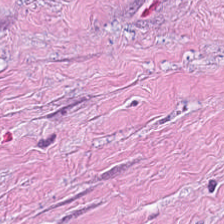H&E-stained tissue section — The predominant tissue is tumor-associated stroma.
